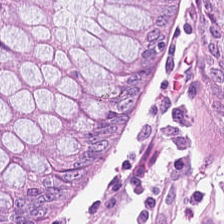Hematoxylin-and-eosin stained section · FFPE tissue section. Tissue class — non-neoplastic colon mucosa.
